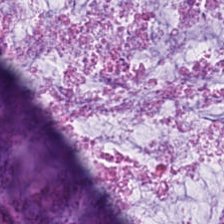Brightfield; H&E — This field is extracellular mucin.
